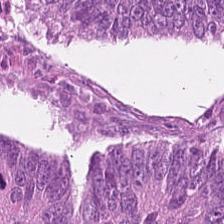H&E. This field is adenocarcinoma.
